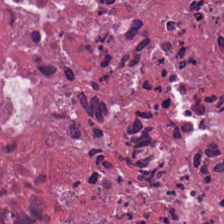H&E-stained tissue section. Impression — cellular debris.
